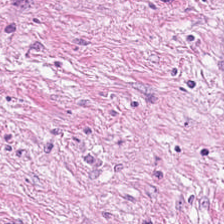H&E stain — {"tissue_type": "desmoplastic stroma"}
